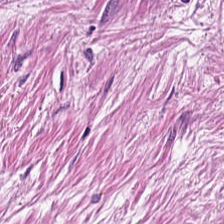224×224 pixel tile; H&E stain. Tissue class — desmoplastic stroma.
